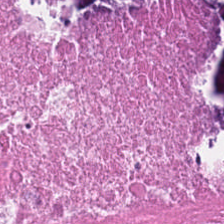H&E-stained tissue section.
Cellular debris.
